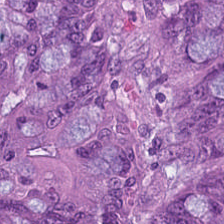H&E-stained tissue section. Tissue: colorectal adenocarcinoma epithelium.
